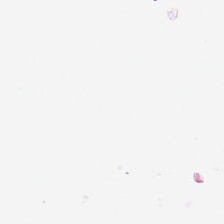H&E-stained tissue section — Classification: empty background.
